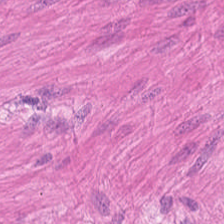H&E-stained tissue section.
The classification is muscularis.
